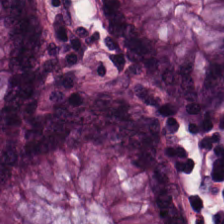H&E stain.
The classification is normal colonic mucosa.
